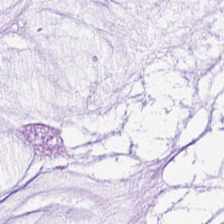Showing extracellular mucin.
